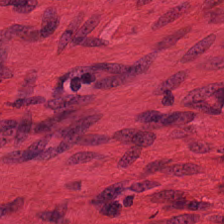FFPE tissue section; 224×224 pixel tile; hematoxylin-and-eosin stained section. Q: Identify the tissue.
A: Smooth-muscle tissue.
